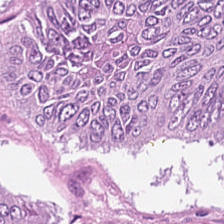0.5 µm/px · FFPE · H&E-stained tissue section. The predominant tissue is tumor epithelium.
